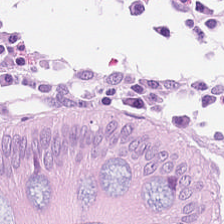H&E. The predominant tissue is normal colonic mucosa.
